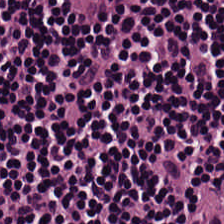Predominantly lymphoid infiltrate.
